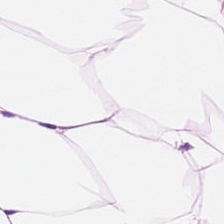Q: What is the predominant tissue type?
A: Fat tissue.
